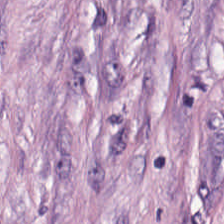H&E. Tissue: cancer-associated stroma.
